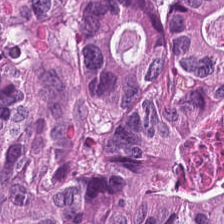Brightfield microscopy; hematoxylin-and-eosin stained section.
Tissue type — malignant epithelium.
